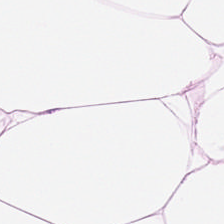Whole-slide-image patch. H&E stain — Q: What does this patch show?
A: It is fat tissue.
